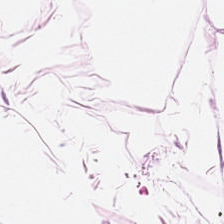H&E stain. The tissue class is adipose tissue.
